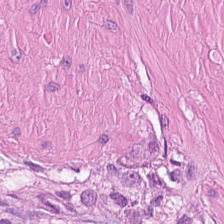Predominantly smooth-muscle tissue.
